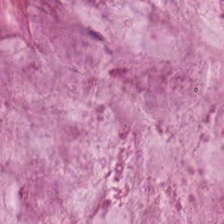This patch shows mucin.
